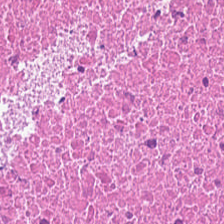The predominant tissue is necrotic debris.
